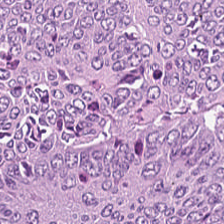Stain: hematoxylin-and-eosin stained section.
Tile size: 224×224 px tile.
Acquisition: brightfield microscopy.
Classification: malignant epithelium.
